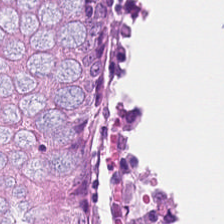0.5 microns per pixel · FFPE tissue section · H&E stain — The tissue type is non-neoplastic colon mucosa.
